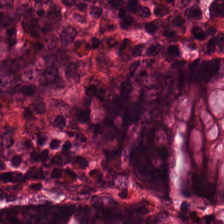Hematoxylin-and-eosin stained section.
This field is normal colonic mucosa.
